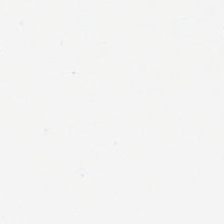Q: What does this patch show?
A: It is background.
